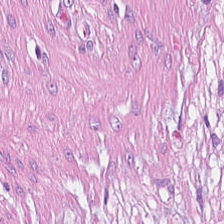FFPE · H&E-stained tissue section · 224×224 pixel tile. {"tissue_type": "tumor-associated stroma"}
